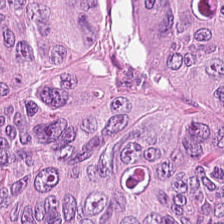H&E-stained tissue section · formalin-fixed paraffin-embedded section · WSI patch.
Predominant tissue = adenocarcinoma.
